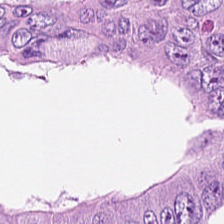Hematoxylin and eosin. 224×224 px tile — Colorectal adenocarcinoma.
